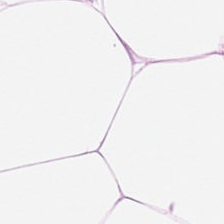Hematoxylin and eosin.
Histology — adipocytes.
